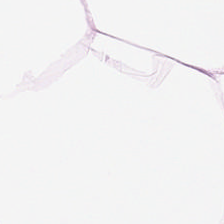Hematoxylin and eosin; 0.5 µm per pixel. This field is adipose.
